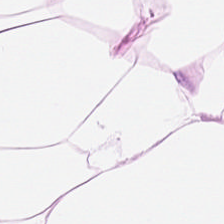Stain: H&E stain.
Tissue type: adipose.
